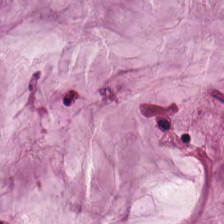20× equivalent magnification. H&E.
Tissue class = mucus.
